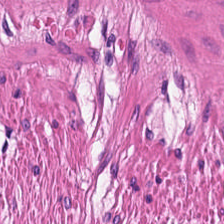H&E.
The tissue is smooth muscle.
